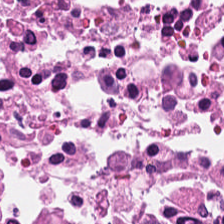Hematoxylin-and-eosin stained section — Tissue class = debris.
